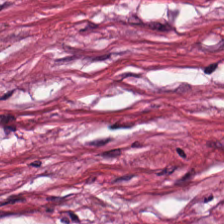0.5 microns per pixel; hematoxylin and eosin.
The tissue type is desmoplastic stroma.
